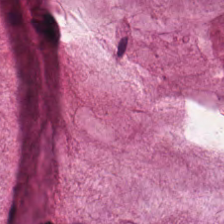H&E stain.
The predominant tissue is mucus.
